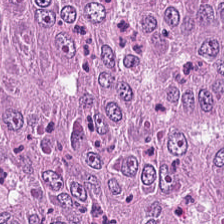Hematoxylin-and-eosin stained section. This field is colorectal adenocarcinoma.
